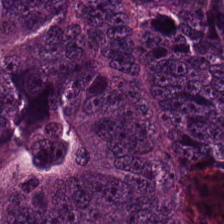Classification — malignant epithelium.
